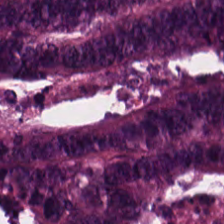H&E stain; formalin-fixed paraffin-embedded section — This field is malignant epithelium.
